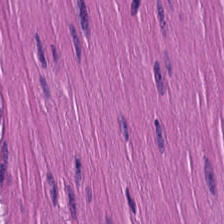Tissue type: smooth muscle.
